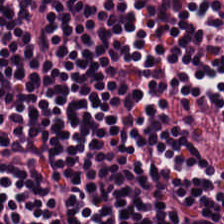H&E.
Tissue class — lymphocyte aggregate.
